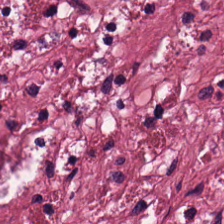Predominantly tumor stroma.
